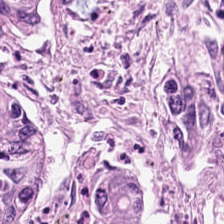H&E patch showing malignant epithelium.
